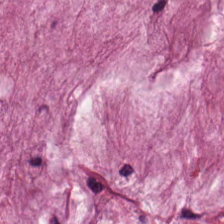Stain: hematoxylin and eosin.
Tile size: 224×224 px tile.
Preparation: formalin-fixed paraffin-embedded section.
Tissue class: mucus.
